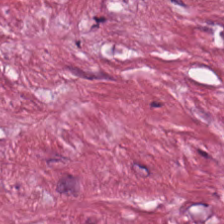20× equivalent magnification; H&E-stained tissue section. Impression → desmoplastic stroma.
